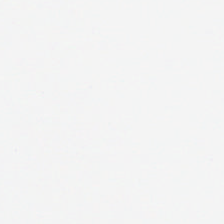Hematoxylin and eosin.
Field content: background (no tissue).
